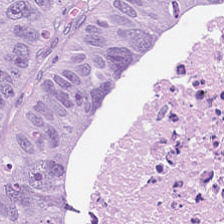20× equivalent magnification · hematoxylin-and-eosin stained section. The predominant tissue is malignant epithelium.
